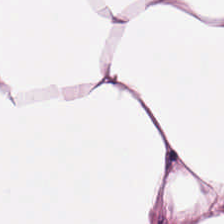Stain: H&E-stained tissue section.
Acquisition: brightfield microscopy.
Tile size: 224×224 pixel tile.
Tissue: adipose.
